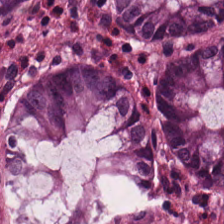H&E stain — Showing normal colonic mucosa.
